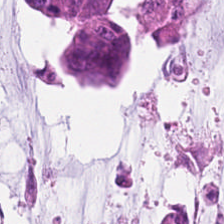Stain: H&E stain.
Predominant tissue: extracellular mucin.
